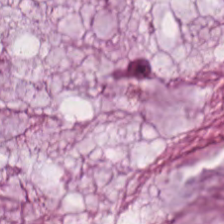Formalin-fixed paraffin-embedded section; H&E stain.
Extracellular mucin.
